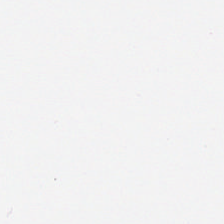No tissue present; background only.
